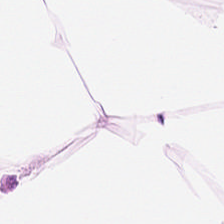Q: Classify this patch.
A: This is adipose.
